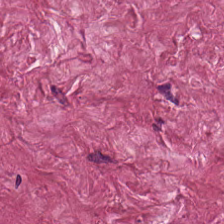H&E stain.
Predominant tissue = tumor stroma.
